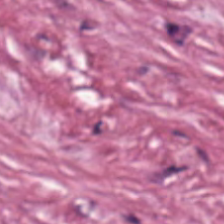Whole-slide-image patch; hematoxylin and eosin. This field is cancer-associated stroma.
